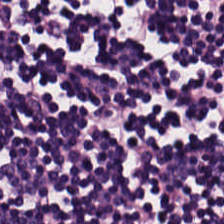Impression → lymphocyte aggregate.
